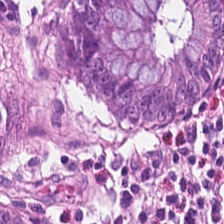H&E stain · WSI patch. Showing non-neoplastic colon mucosa.
